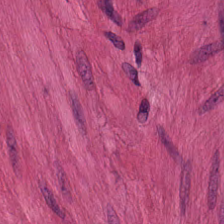H&E-stained tissue section — Smooth-muscle tissue.
